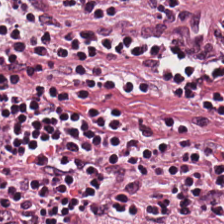Hematoxylin-and-eosin stained section · brightfield.
Histology — lymphocyte aggregate.
